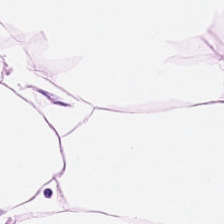H&E. Tissue — fat tissue.
